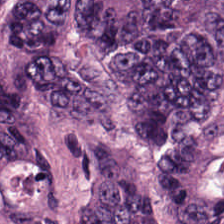Stain: H&E.
Tissue type: colorectal adenocarcinoma.
